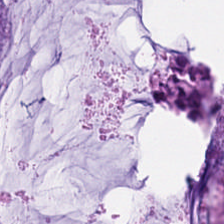H&E-stained tissue section. The predominant tissue is extracellular mucin.
